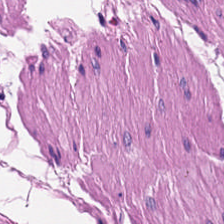Stain: hematoxylin and eosin.
Predominant tissue: smooth muscle.
